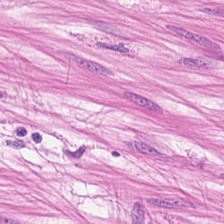H&E stain; 224×224 pixel tile — Predominantly muscularis.
